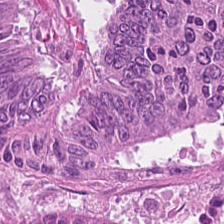Stain: hematoxylin and eosin.
Acquisition: whole-slide-image patch.
Predominant tissue: malignant epithelium.
